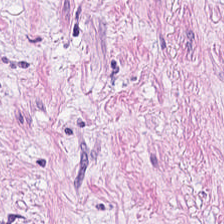The tissue here is tumor stroma.
